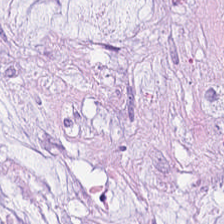Histology → mucin.
